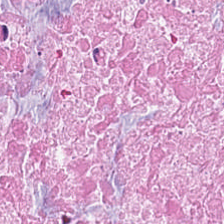This patch shows debris.
